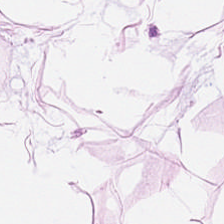H&E — Fat tissue.
